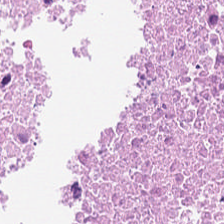H&E-stained tissue section. The tissue type is debris.
